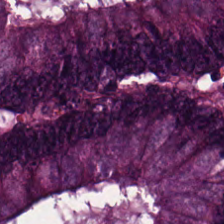Brightfield microscopy · H&E — Showing tumor epithelium.
